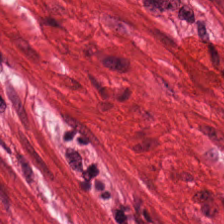H&E stain · WSI patch. Q: What is shown here?
A: It is muscularis.
